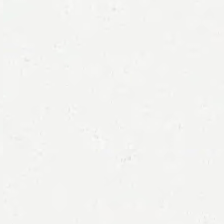H&E — Background — no tissue in this field.
